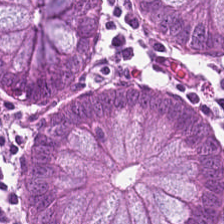H&E stain.
This patch shows normal colon mucosa.
